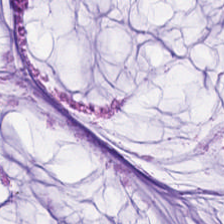Stain: H&E stain.
Tissue: extracellular mucin.
